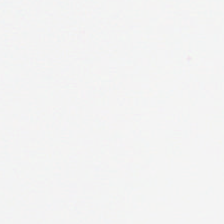FFPE. H&E-stained tissue section. {"content": "background"}
